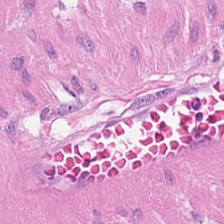H&E stain. The tissue here is muscularis.
